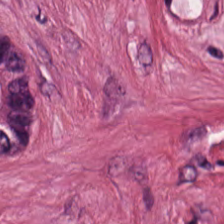H&E stain. Q: What type of tissue is this?
A: This is tumor-associated stroma.
